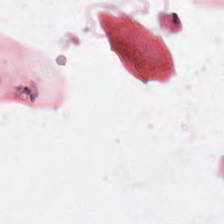Q: Classify this patch.
A: It is background.
